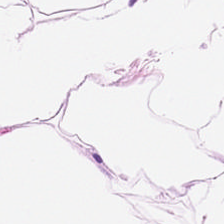Tissue: adipose.
